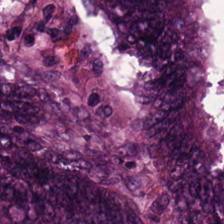H&E-stained section; the field shows colorectal adenocarcinoma epithelium.
